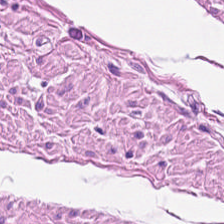Stain: H&E stain.
Tissue class: smooth-muscle tissue.
